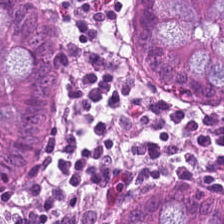FFPE tissue section; H&E stain.
Finding — benign colonic mucosa.
